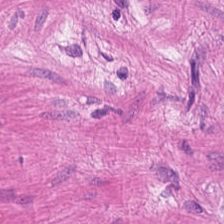H&E-stained tissue section showing smooth muscle.
